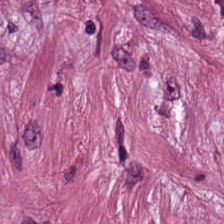Hematoxylin-and-eosin stained section — Predominantly cancer-associated stroma.
